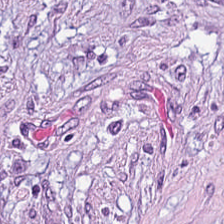0.5 µm/px; H&E-stained tissue section.
This field is tumor-associated stroma.
